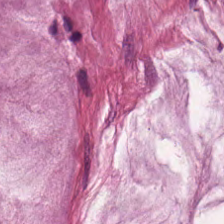Hematoxylin-and-eosin stained section; brightfield microscopy. Classification = extracellular mucin.
